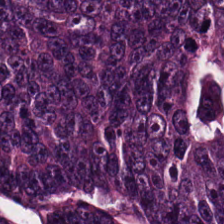Hematoxylin and eosin. This patch shows colorectal adenocarcinoma.
